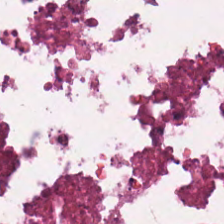H&E stain.
This patch shows debris.
